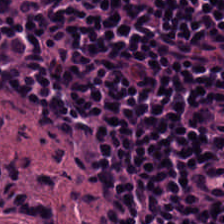Hematoxylin-and-eosin stained section · whole-slide-image patch. Showing lymphocyte aggregate.
